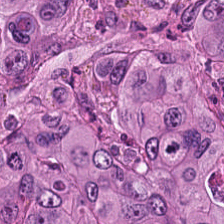Stain: H&E stain.
Resolution: 0.5 µm/px.
Classification: colorectal adenocarcinoma epithelium.
